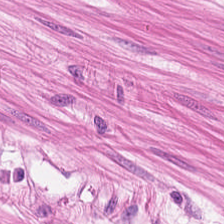224×224 px patch. Hematoxylin and eosin. 0.5 µm per pixel. Showing smooth-muscle tissue.
